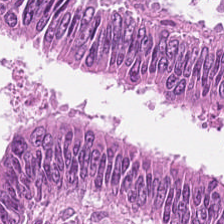{"tissue_type": "adenocarcinoma"}
